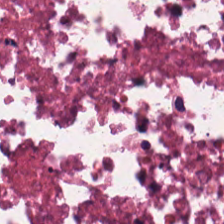0.5 µm per pixel. Brightfield microscopy. Hematoxylin-and-eosin stained section. Showing debris.
